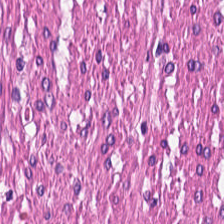Hematoxylin-and-eosin stained section.
This patch shows smooth-muscle tissue.
